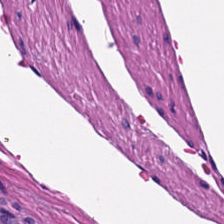H&E-stained tissue section.
{"tissue_type": "muscularis"}
